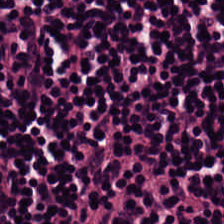Hematoxylin-and-eosin stained section — Impression — lymphocyte aggregate.
